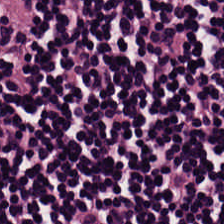WSI patch; H&E-stained tissue section.
This patch shows lymphocytes.
